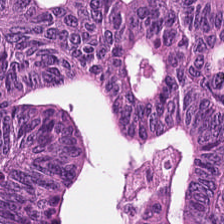Hematoxylin-and-eosin stained section. Showing adenocarcinoma.
